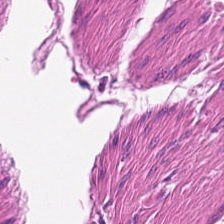Hematoxylin and eosin. Q: What tissue is shown?
A: Smooth muscle.
